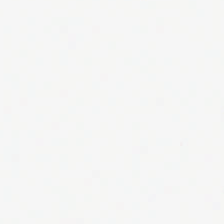224×224 pixel tile; hematoxylin and eosin; brightfield.
Q: Classify this patch.
A: The field shows no tissue.
